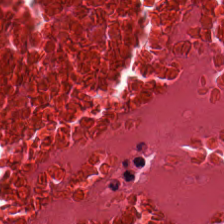Hematoxylin-and-eosin stained section · FFPE — Tissue class: debris.
